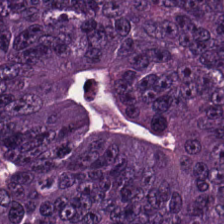Hematoxylin and eosin; whole-slide-image patch.
This field is colorectal adenocarcinoma epithelium.
